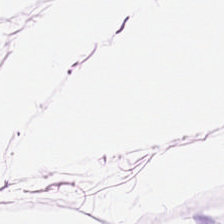20× equivalent magnification; H&E stain — This field is fat tissue.
